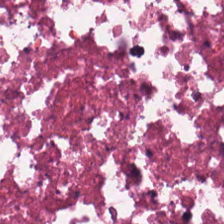Showing cellular debris.
